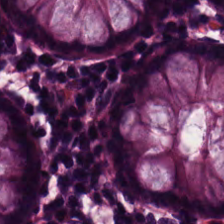Hematoxylin-and-eosin stained section. FFPE. Predominant tissue — normal colon mucosa.
